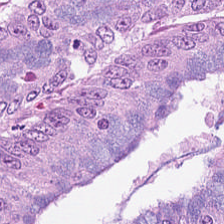H&E — colorectal adenocarcinoma epithelium.
